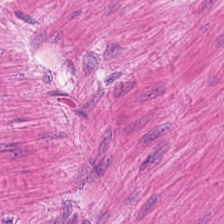Formalin-fixed paraffin-embedded section; hematoxylin and eosin — Q: What tissue is shown?
A: It is smooth muscle.
